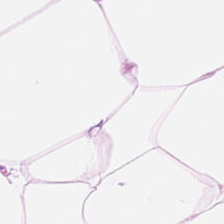Q: What is shown here?
A: It is fat tissue.
